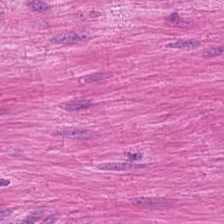224×224 px patch; brightfield microscopy; H&E stain. Showing muscularis.
